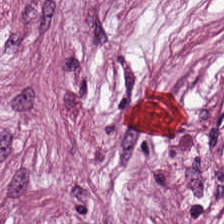Showing tumor-associated stroma.
